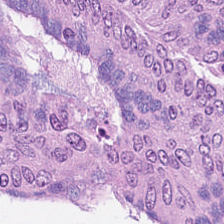Q: Identify the tissue.
A: This is tumor epithelium.
